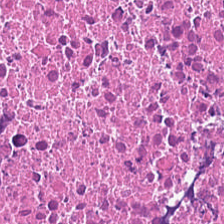H&E-stained tissue section. {"tissue_type": "cellular debris"}
